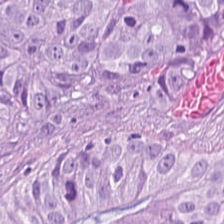Stain: hematoxylin-and-eosin stained section.
Predominant tissue: colorectal adenocarcinoma.
